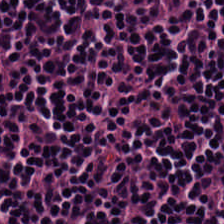Tissue type = lymphocyte aggregate.
